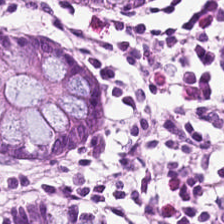H&E. This patch shows normal colonic mucosa.
